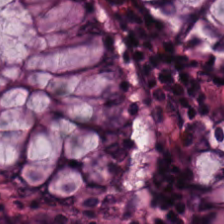224×224 px patch; H&E stain.
This field is benign colonic mucosa.
